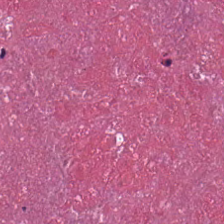Hematoxylin and eosin — The predominant tissue is debris.
